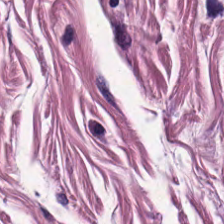H&E — This patch shows smooth-muscle tissue.
